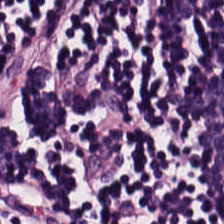H&E stain — Impression — lymphoid infiltrate.
